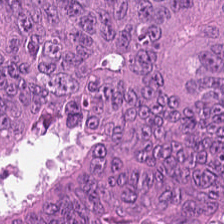H&E-stained tissue section; brightfield; FFPE.
The tissue class is malignant epithelium.
